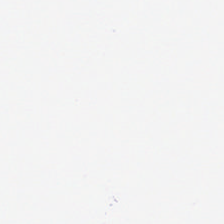Hematoxylin and eosin — Empty field — background (no tissue).
